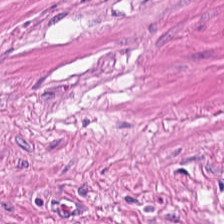Stain: H&E-stained tissue section.
Predominant tissue: muscularis.
